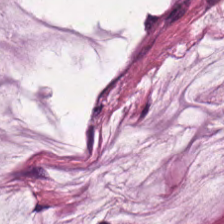H&E — Q: What is shown here?
A: This is extracellular mucin.
